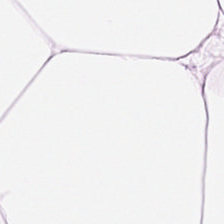H&E-stained tissue section — Predominantly adipose tissue.
